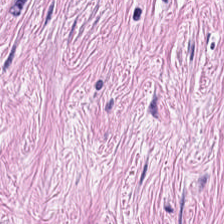Q: What is shown in this field?
A: Cancer-associated stroma.
